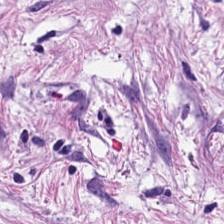Q: What is the predominant tissue type?
A: The field shows cancer-associated stroma.
